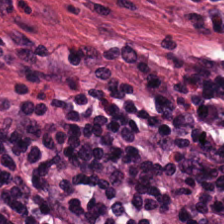Hematoxylin-and-eosin stained section — The tissue here is tumor stroma.
